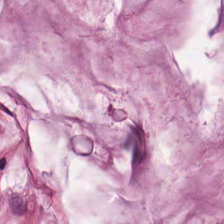Hematoxylin-and-eosin stained section. The tissue here is mucin.
